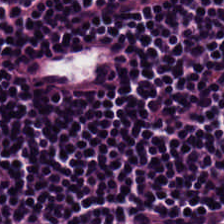Stain: hematoxylin-and-eosin stained section.
Tissue: lymphoid infiltrate.
